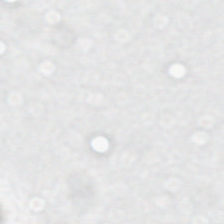FFPE tissue section; H&E stain. Empty field — no tissue.
